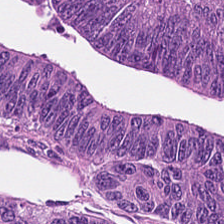Predominant tissue: malignant epithelium.
